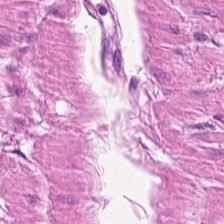Formalin-fixed paraffin-embedded section; hematoxylin and eosin.
Smooth muscle.
